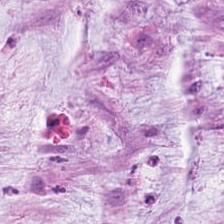Brightfield. Hematoxylin and eosin — The tissue here is mucin.
